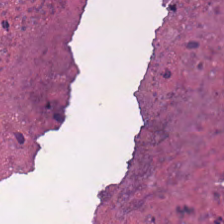Hematoxylin-and-eosin section: necrotic debris.
